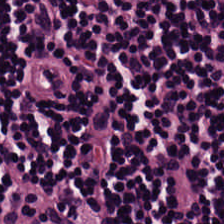H&E stain. Tissue type = lymphocytic infiltrate.
